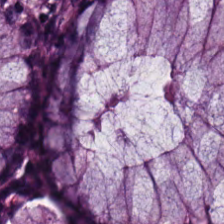Stain: H&E stain.
Resolution: 0.5 microns per pixel.
Predominant tissue: normal colon mucosa.
